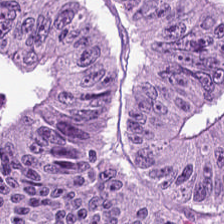Whole-slide-image patch · hematoxylin and eosin. Q: Identify the tissue.
A: This is colorectal adenocarcinoma epithelium.
